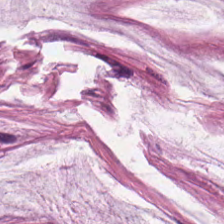H&E stain.
Predominant tissue = mucin.
